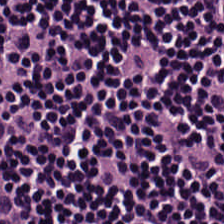Hematoxylin-and-eosin stained section. The tissue class is lymphocytes.
